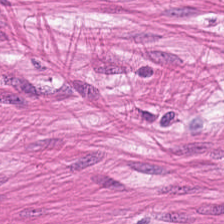H&E stain.
{"tissue_type": "smooth-muscle tissue"}
